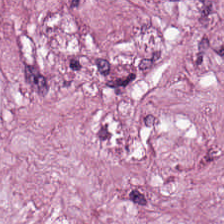Predominant tissue = cancer-associated stroma.
